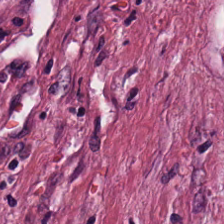Hematoxylin-and-eosin stained section — {"tissue_type": "tumor stroma"}
